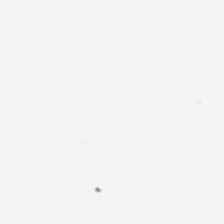{"content": "background (no tissue)"}
